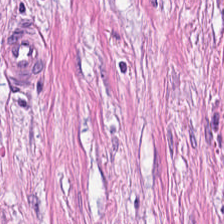WSI patch. H&E — {"tissue_type": "desmoplastic stroma"}
